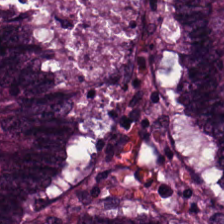Stain: H&E.
Tissue: colorectal adenocarcinoma.
